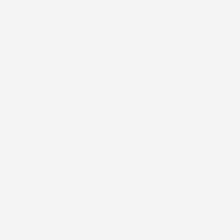Hematoxylin-and-eosin stained section · brightfield.
This patch shows no tissue.
